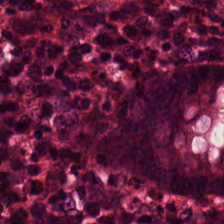Tissue type — normal colon mucosa.
